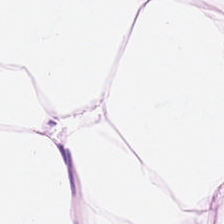Hematoxylin and eosin — Q: What tissue is shown?
A: This is fat tissue.
